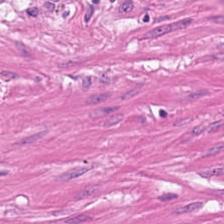Hematoxylin and eosin.
Q: Identify the tissue.
A: It is smooth muscle.
